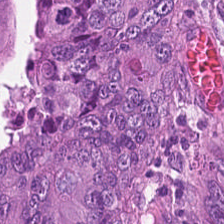0.5 µm/px · hematoxylin and eosin.
Showing adenocarcinoma.
